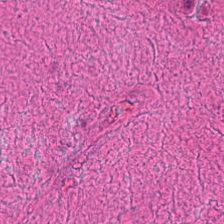224×224 px tile · H&E-stained tissue section — Impression → cellular debris.
